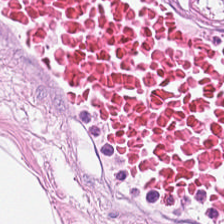The classification is adipose tissue.
